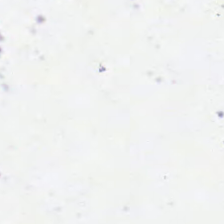0.5 µm per pixel. H&E-stained tissue section. Whole-slide-image patch.
Q: What does this patch show?
A: It is background.
